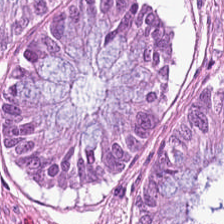Stain: H&E-stained tissue section.
Classification: normal colon mucosa.
